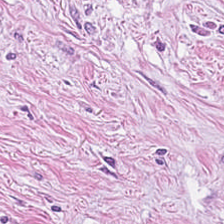The tissue here is tumor-associated stroma.
